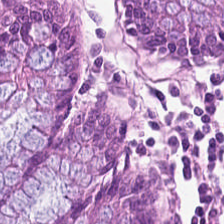Tissue: benign colonic mucosa.
